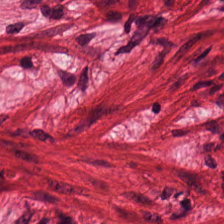The classification is muscularis.
